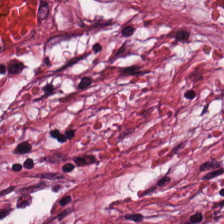Hematoxylin-and-eosin stained section. Q: What is the predominant tissue type?
A: It is tumor stroma.
